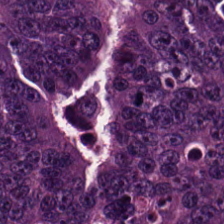Formalin-fixed paraffin-embedded section; H&E stain. The tissue here is colorectal adenocarcinoma.
